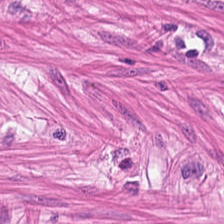FFPE tissue section; H&E-stained tissue section.
Q: Identify the tissue.
A: Smooth-muscle tissue.
